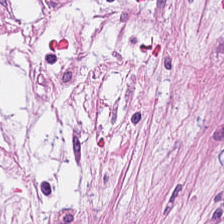Hematoxylin-and-eosin stained section.
Histology → tumor-associated stroma.
